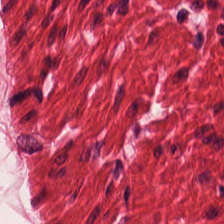H&E-stained tissue section; formalin-fixed paraffin-embedded section — Impression — smooth-muscle tissue.
